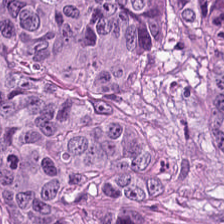H&E. This patch shows malignant epithelium.
